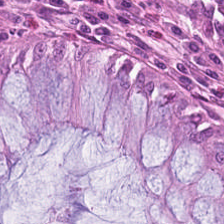Tissue type: normal colonic mucosa.
